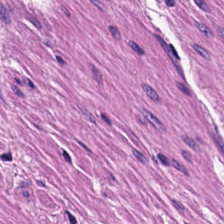H&E — The classification is smooth-muscle tissue.
